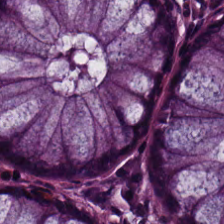H&E stain. Tissue type — normal colonic mucosa.
